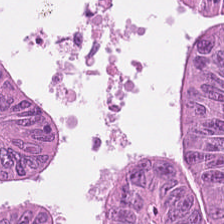H&E stain — The predominant tissue is malignant epithelium.
